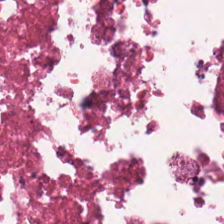0.5 microns per pixel. H&E stain. FFPE.
Finding — debris.
